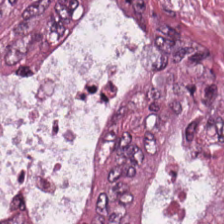Adenocarcinoma.
